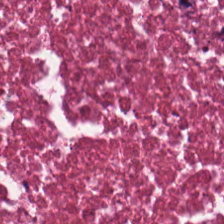Whole-slide-image patch. H&E. Predominant tissue — debris.
